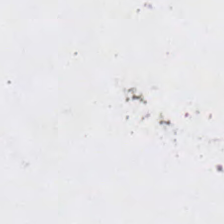The content is no tissue.
